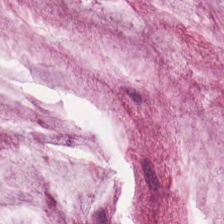The tissue is extracellular mucin.
